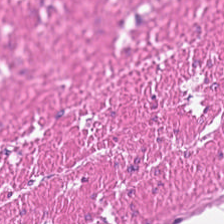Hematoxylin and eosin; 224×224 pixel tile; 0.5 µm/px.
Tissue class — smooth muscle.
